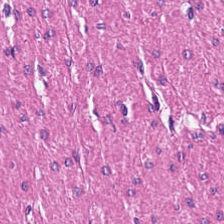Stain: H&E-stained tissue section.
Preparation: formalin-fixed paraffin-embedded section.
Predominant tissue: muscularis.
